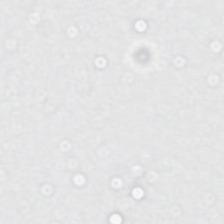Stain: H&E stain.
Classification: no tissue.
